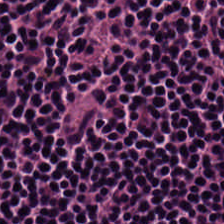The tissue here is lymphocytes.
